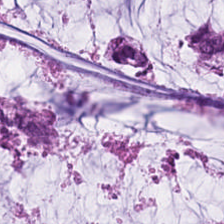Stain: H&E stain.
Tile size: 224×224 px patch.
Tissue class: extracellular mucin.
